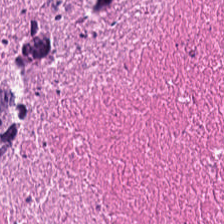Stain: H&E.
Classification: cellular debris.
